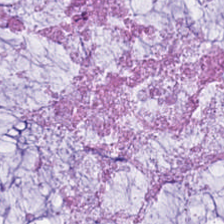H&E — Showing mucin.
